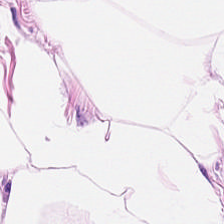H&E stain.
Predominantly adipocytes.
